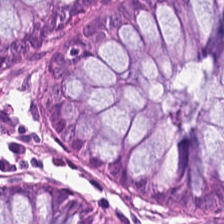Hematoxylin-and-eosin stained section — The tissue here is benign colonic mucosa.
